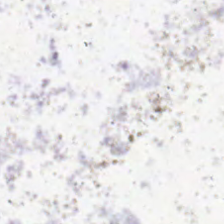H&E stain — Finding — background.
